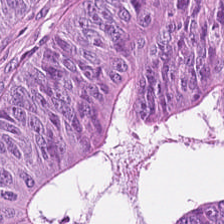Stain: H&E.
Tile size: 224×224 px tile.
Tissue type: adenocarcinoma.
